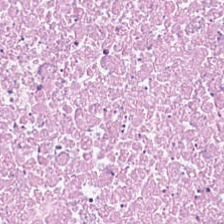Formalin-fixed paraffin-embedded section · H&E-stained tissue section · brightfield — Necrotic debris.
